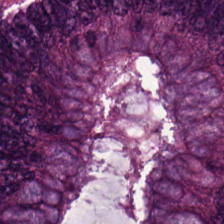Finding → malignant epithelium.
